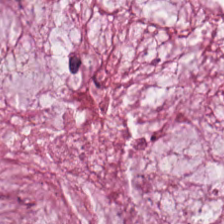Hematoxylin-and-eosin stained section; 0.5 microns per pixel; 224×224 px tile.
Classification — extracellular mucin.
